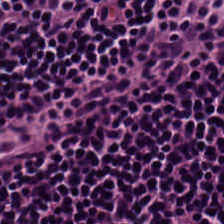0.5 microns per pixel; H&E.
Tissue type: lymphocytes.
